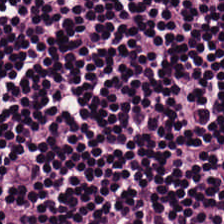Hematoxylin and eosin. Classification: lymphocytic infiltrate.
